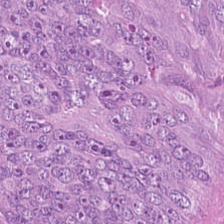H&E. Tissue type — malignant epithelium.
